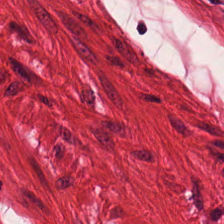Q: What is shown here?
A: This is smooth muscle.
